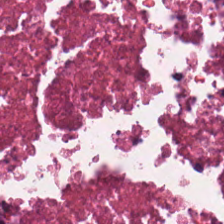H&E stain — Q: What tissue type is shown here?
A: This is necrotic debris.
